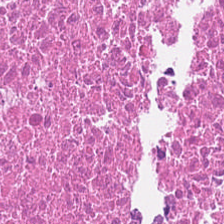{"tissue_type": "cellular debris"}
